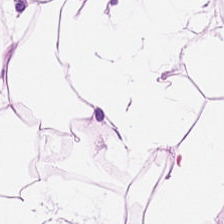Hematoxylin-and-eosin stained section — Predominant tissue: fat tissue.
